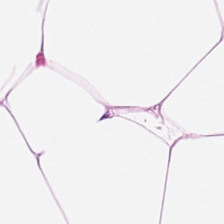H&E. Q: What is shown here?
A: It is fat tissue.
